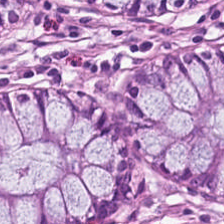FFPE tissue section · hematoxylin-and-eosin stained section. Histology → normal colonic mucosa.
